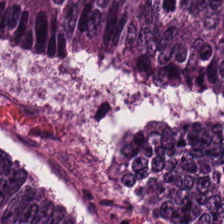H&E — Finding → adenocarcinoma.
